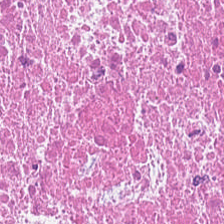Predominant tissue = necrotic debris.
